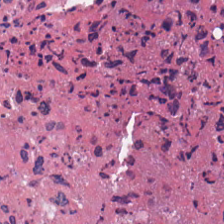This patch shows necrotic debris.
